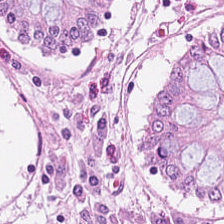Tissue type — non-neoplastic colon mucosa.
